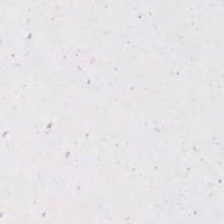H&E-stained tissue section. This field is background (no tissue).
